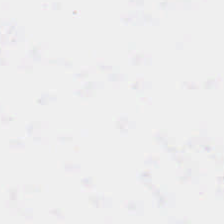H&E — Finding — no tissue.
